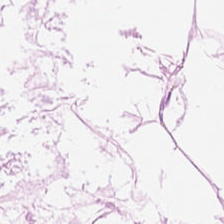Hematoxylin and eosin · formalin-fixed paraffin-embedded section. This patch shows adipocytes.
